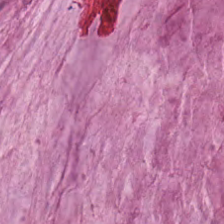H&E; FFPE tissue section. This patch shows mucus.
